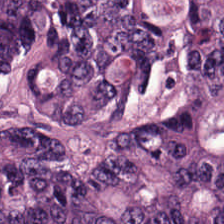Predominantly colorectal adenocarcinoma.
